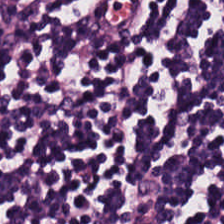0.5 µm/px · formalin-fixed paraffin-embedded section · H&E.
Finding — lymphocytic infiltrate.
